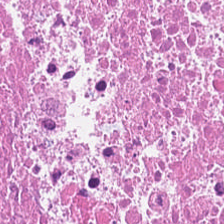The classification is debris.
